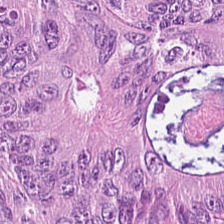H&E stain · FFPE.
Predominantly malignant epithelium.
